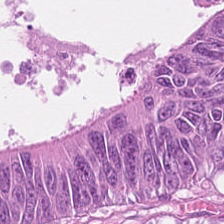Stain: hematoxylin and eosin.
Tissue: colorectal adenocarcinoma epithelium.
